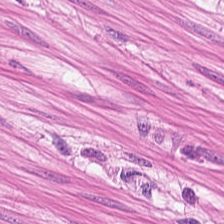Hematoxylin and eosin. Finding → muscularis.
